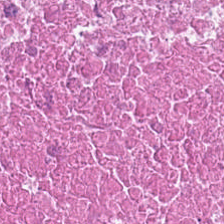H&E stain · 0.5 microns per pixel.
Q: What type of tissue is this?
A: It is necrotic debris.
